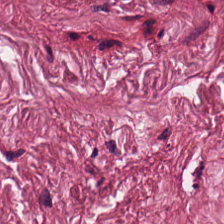Hematoxylin-and-eosin stained section. Brightfield microscopy.
Tissue type — desmoplastic stroma.
